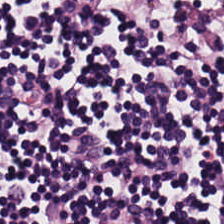{"tissue_type": "lymphocytic infiltrate"}
